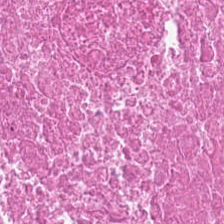224×224 pixel tile; brightfield; hematoxylin-and-eosin stained section.
Q: What is shown in this field?
A: This is debris.
